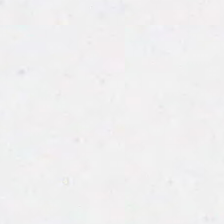Hematoxylin and eosin · FFPE. Content: no tissue.
